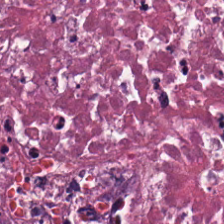Hematoxylin-and-eosin stained section. The tissue here is necrotic debris.
